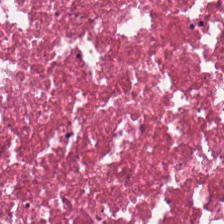Finding → necrotic debris.
